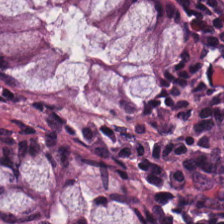Predominant tissue — normal colonic mucosa.
